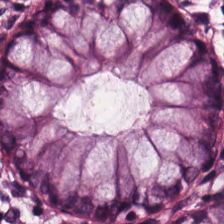224×224 pixel tile; formalin-fixed paraffin-embedded section; H&E. {"tissue_type": "normal colon mucosa"}
